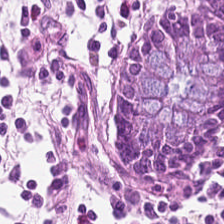Q: Classify this patch.
A: This is normal colon mucosa.
